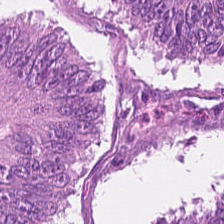Stain: hematoxylin and eosin.
Tile size: 224×224 pixel tile.
Classification: tumor epithelium.
